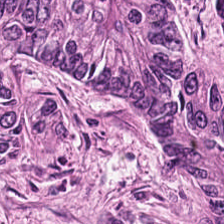0.5 µm/px. H&E-stained tissue section.
Colorectal adenocarcinoma epithelium.
